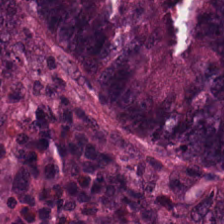0.5 µm/px; H&E; whole-slide-image patch.
Q: Identify the tissue.
A: Colorectal adenocarcinoma.
